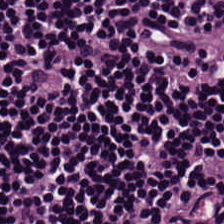FFPE tissue section; H&E stain.
Q: Identify the tissue.
A: The field shows lymphocytes.
